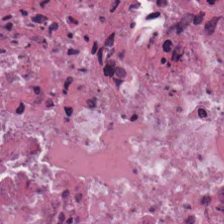Stain: hematoxylin and eosin.
Tissue type: cellular debris.
